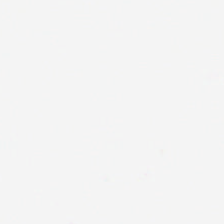Stain: H&E-stained tissue section.
Content: background (no tissue).
